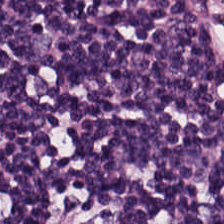The predominant tissue is lymphoid infiltrate.
